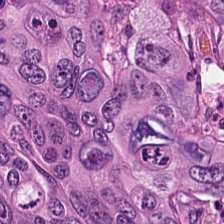H&E stain · WSI patch · 224×224 px tile. The tissue type is tumor epithelium.
